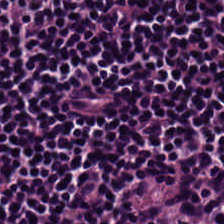0.5 µm/px · H&E-stained tissue section — Tissue type = lymphocyte aggregate.
